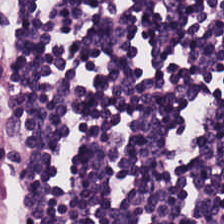Stain: H&E.
Classification: lymphocytic infiltrate.
